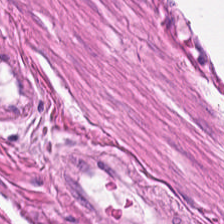The tissue here is muscularis.
